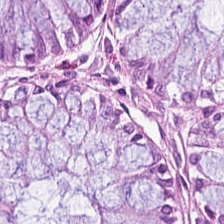Hematoxylin and eosin; whole-slide-image patch. The tissue type is non-neoplastic colon mucosa.
